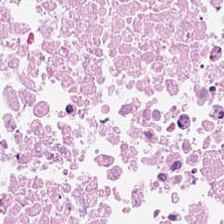H&E stain. Predominantly necrotic debris.
